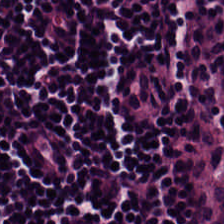Stain: hematoxylin-and-eosin stained section.
Tissue: lymphocyte aggregate.
